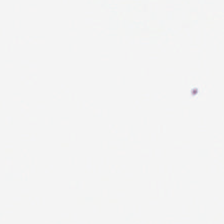Hematoxylin-and-eosin stained section. This patch shows background.
